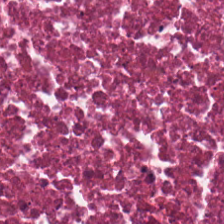Whole-slide-image patch · H&E — Predominant tissue — debris.
